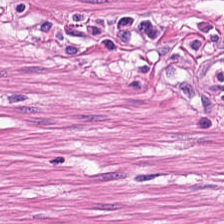Stain: hematoxylin and eosin.
Tissue class: smooth-muscle tissue.
